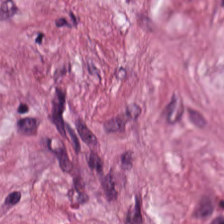H&E-stained tissue section — The tissue type is tumor stroma.
